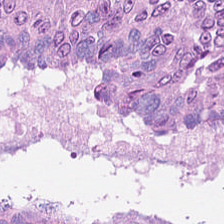20× equivalent magnification. H&E — Colorectal adenocarcinoma epithelium.
